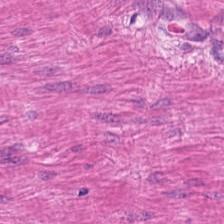H&E. 0.5 µm per pixel. FFPE tissue section. Tissue = smooth-muscle tissue.
